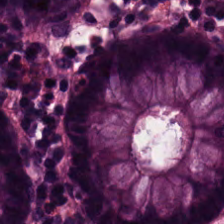20× equivalent magnification. H&E-stained tissue section.
The classification is normal colon mucosa.
